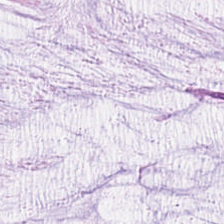H&E — Q: What type of tissue is this?
A: Mucus.
